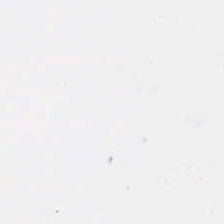224×224 px patch · hematoxylin and eosin.
Background — no tissue in this field.
